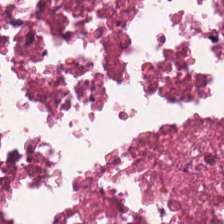Hematoxylin and eosin.
This field is cellular debris.
